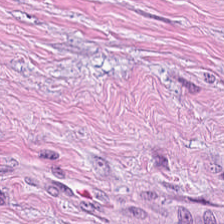Stain: H&E.
Tile size: 224×224 px patch.
Tissue class: tumor stroma.
